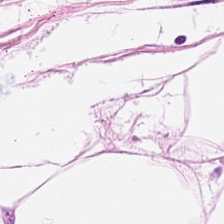H&E-stained tissue section. This patch shows fat tissue.
